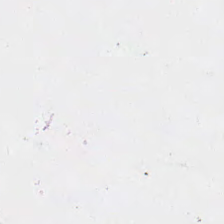H&E-stained tissue section.
Background — no tissue in this field.
